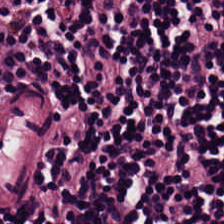Hematoxylin-and-eosin stained section · brightfield microscopy · 224×224 px tile. Predominant tissue: lymphocytes.
